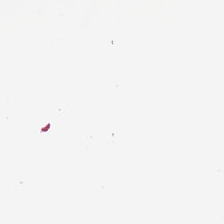FFPE; 0.5 microns per pixel; H&E — This field is background (no tissue).
